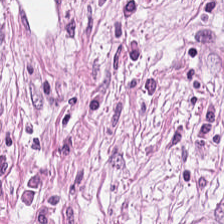H&E-stained tissue section; FFPE — Q: What is shown here?
A: The field shows tumor stroma.
